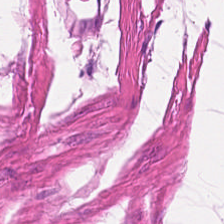Stain: hematoxylin-and-eosin stained section.
Tissue type: smooth muscle.
